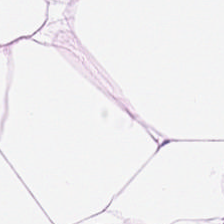Predominantly adipose tissue.
